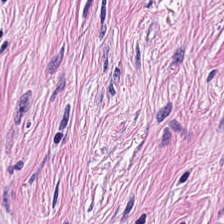Q: What tissue is shown?
A: This is cancer-associated stroma.
